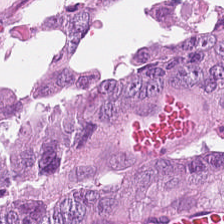Stain: H&E stain.
Tissue: colorectal adenocarcinoma.
